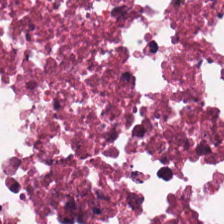Showing necrotic debris.
